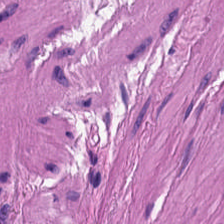0.5 µm per pixel · H&E. The tissue here is smooth muscle.
